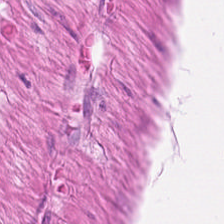H&E — smooth-muscle tissue.
